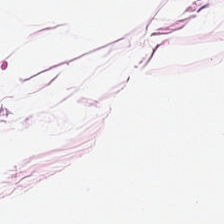This field is adipose.
